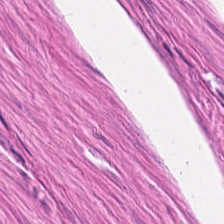Hematoxylin-and-eosin stained section.
Smooth muscle.
